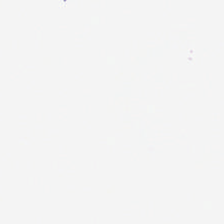Hematoxylin-and-eosin stained section. Finding — empty background.
